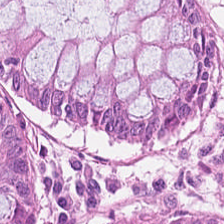Predominantly benign colonic mucosa.
